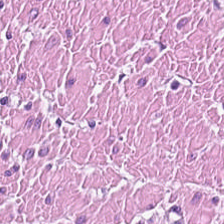Stain: hematoxylin-and-eosin stained section.
Preparation: FFPE.
Tissue type: muscularis.
